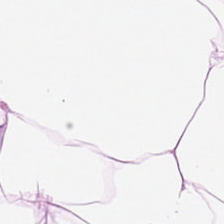H&E — adipose.
